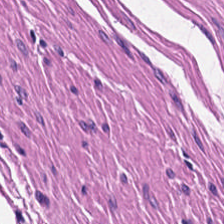224×224 px patch; H&E; formalin-fixed paraffin-embedded section — Q: What does this patch show?
A: This is smooth-muscle tissue.
